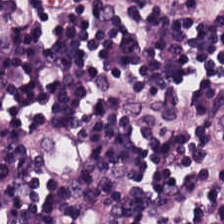Hematoxylin and eosin. Finding → lymphocytic infiltrate.
